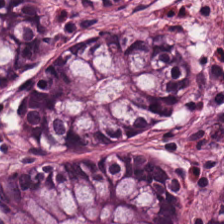Stain: hematoxylin and eosin.
Predominant tissue: normal colonic mucosa.
